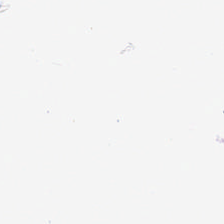H&E. Background.
